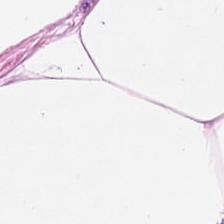Hematoxylin-and-eosin stained section — Tissue = fat tissue.
